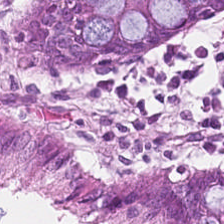{"tissue_type": "benign colonic mucosa"}
